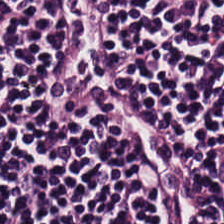Whole-slide-image patch · H&E. This field is lymphocytic infiltrate.
